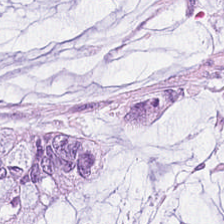H&E-stained tissue section · brightfield · FFPE — This field is mucin.
